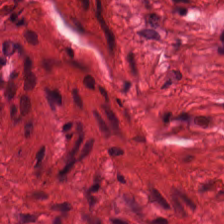20× equivalent magnification; hematoxylin and eosin. This field is smooth-muscle tissue.
